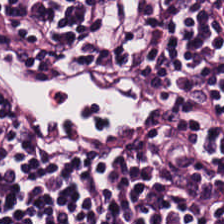Q: What type of tissue is this?
A: This is lymphoid infiltrate.
